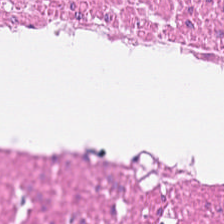Hematoxylin and eosin — Q: What does this patch show?
A: This is muscularis.
